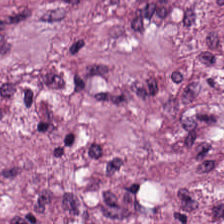H&E stain. The tissue is desmoplastic stroma.
